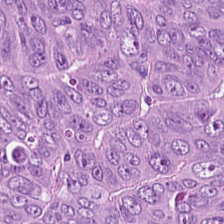Stain: H&E-stained tissue section.
Tissue type: adenocarcinoma.
